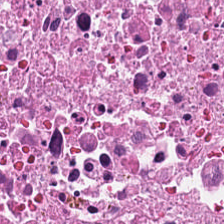Finding → debris.
